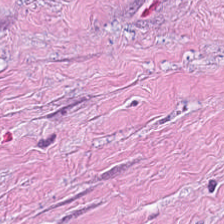Hematoxylin and eosin; 20× equivalent magnification. Histology → tumor-associated stroma.
